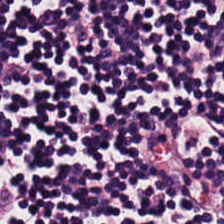Hematoxylin and eosin — Q: What tissue type is shown here?
A: The field shows lymphocytes.
